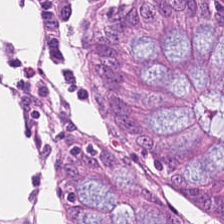H&E stain. Q: What type of tissue is this?
A: This is normal colon mucosa.
